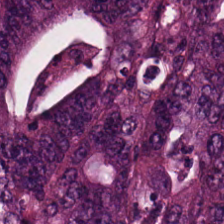Tissue type = colorectal adenocarcinoma.
